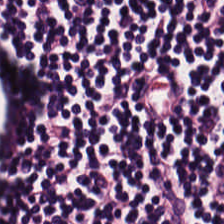H&E. Formalin-fixed paraffin-embedded section. Predominant tissue: lymphocytic infiltrate.
